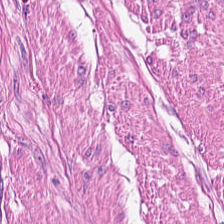20× equivalent magnification. H&E-stained tissue section — {"tissue_type": "muscularis"}
